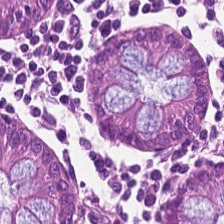Brightfield · H&E-stained tissue section. The predominant tissue is normal colonic mucosa.
